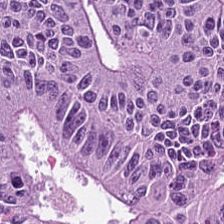Predominant tissue: colorectal adenocarcinoma.
